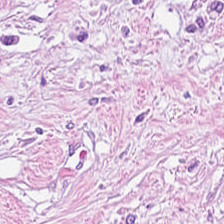H&E. Q: What is shown here?
A: This is desmoplastic stroma.
